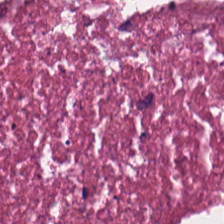Q: Classify this patch.
A: This is debris.
